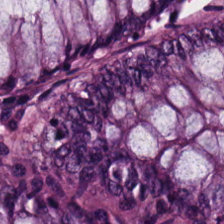224×224 pixel tile. H&E-stained tissue section.
This patch shows normal colonic mucosa.
